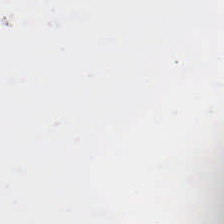FFPE. Hematoxylin and eosin.
This field is background (no tissue).
